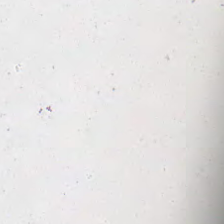Hematoxylin-and-eosin stained section. Q: What does this patch show?
A: It is empty background.
